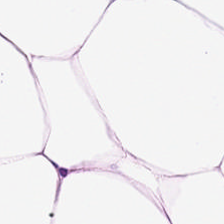H&E-stained tissue section. FFPE.
Predominantly adipose.
